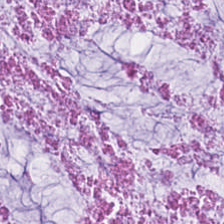Stain: H&E.
Tissue class: mucin.
